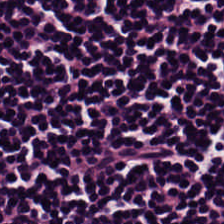224×224 px tile; hematoxylin and eosin. Lymphocyte aggregate.
